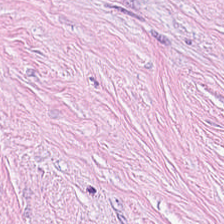Hematoxylin-and-eosin stained section — The predominant tissue is tumor-associated stroma.
